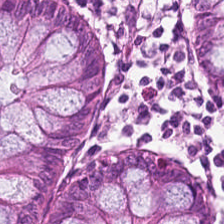Hematoxylin-and-eosin stained section.
Showing normal colonic mucosa.
